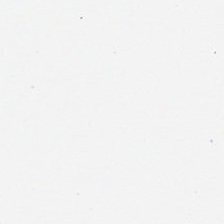H&E.
Classification: no tissue.
